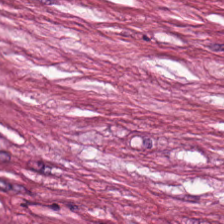Stain: hematoxylin-and-eosin stained section.
Preparation: formalin-fixed paraffin-embedded section.
Predominant tissue: cellular debris.
